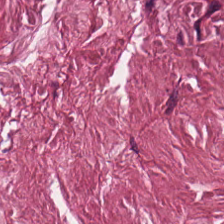Formalin-fixed paraffin-embedded section · H&E · 0.5 µm per pixel. This field is tumor-associated stroma.
